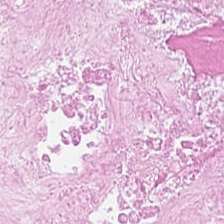WSI patch; H&E-stained tissue section; 0.5 µm per pixel — Finding — cellular debris.
